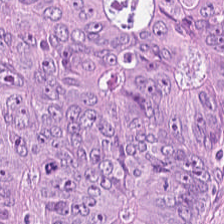Hematoxylin and eosin — Impression — colorectal adenocarcinoma epithelium.
